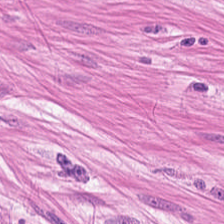Hematoxylin-and-eosin section: smooth-muscle tissue.
